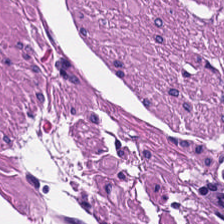H&E-stained tissue section; 0.5 microns per pixel; brightfield microscopy.
Predominantly muscularis.
